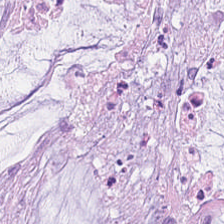Stain: H&E-stained tissue section.
Tissue type: extracellular mucin.
